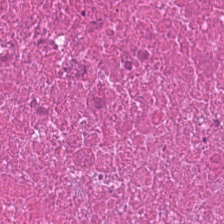Hematoxylin-and-eosin stained section.
Predominant tissue — debris.
